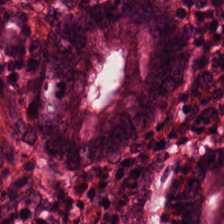WSI patch · hematoxylin and eosin · 20× equivalent magnification.
The predominant tissue is benign colonic mucosa.
